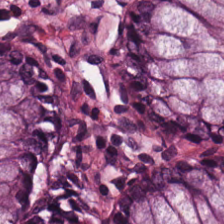0.5 µm/px · H&E-stained tissue section. Q: What is the predominant tissue type?
A: It is normal colonic mucosa.
